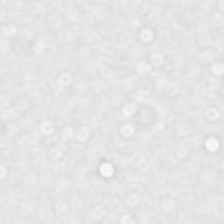20× equivalent magnification. FFPE tissue section. Hematoxylin and eosin.
Finding → empty background.
